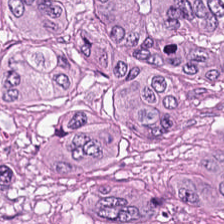0.5 µm/px · H&E. The classification is tumor epithelium.
